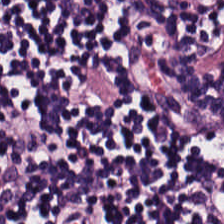Hematoxylin-and-eosin stained section.
Q: What does this patch show?
A: It is lymphocytes.
